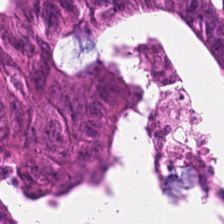0.5 µm per pixel · H&E-stained tissue section · WSI patch. Q: Identify the tissue.
A: This is malignant epithelium.
